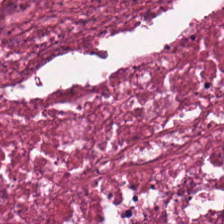H&E-stained tissue section. Tissue type: necrotic debris.
